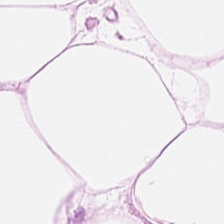Tissue type = adipose.
